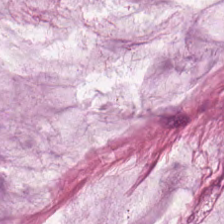Stain: H&E-stained tissue section.
Resolution: 20× equivalent magnification.
Tissue class: mucin.
